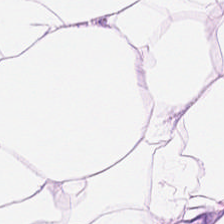Brightfield · hematoxylin-and-eosin stained section · 0.5 microns per pixel. Predominant tissue: adipose.
